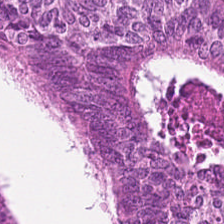H&E-stained tissue section. This field is adenocarcinoma.
